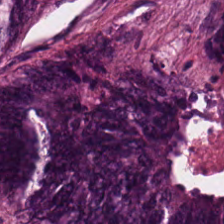Impression — tumor epithelium.
